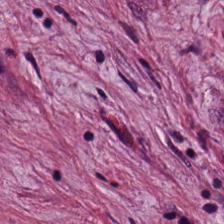Brightfield; 224×224 px tile; H&E stain. Predominantly tumor stroma.
